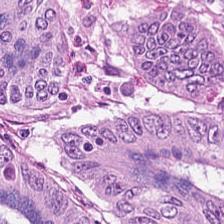H&E stain.
The predominant tissue is colorectal adenocarcinoma.
